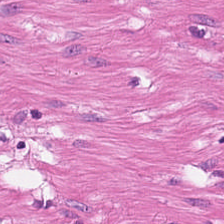H&E.
Tissue type = muscularis.
